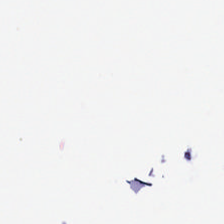Empty field — no tissue.
